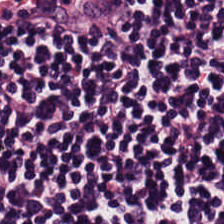Hematoxylin-and-eosin stained section. Lymphocyte aggregate.
